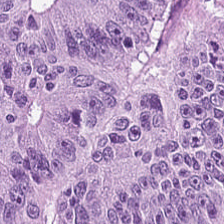H&E stain. Impression → colorectal adenocarcinoma.
